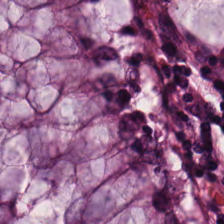224×224 px tile. FFPE. Hematoxylin-and-eosin stained section — Tissue type: normal colon mucosa.
